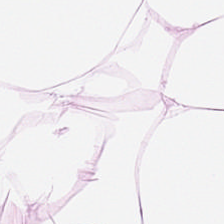224×224 pixel tile. 20× equivalent magnification. H&E — Showing adipose tissue.
